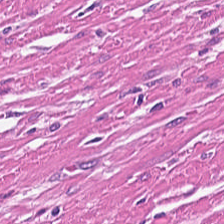Stain: H&E stain.
Tissue: smooth muscle.
